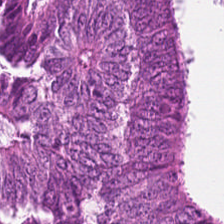224×224 px patch · hematoxylin and eosin — Q: What is the predominant tissue type?
A: This is malignant epithelium.
